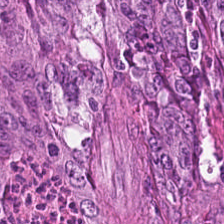Q: What is shown here?
A: It is colorectal adenocarcinoma epithelium.
